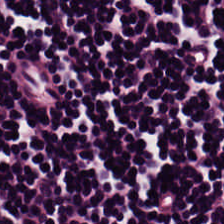Hematoxylin-and-eosin stained section — Showing lymphocytic infiltrate.
